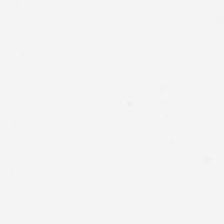H&E stain · brightfield microscopy.
Background — no tissue in this field.
